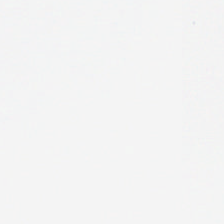Classification = background (no tissue).
